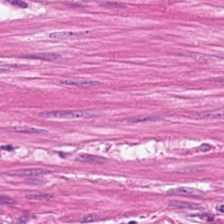Stain: H&E stain.
Acquisition: WSI patch.
Tile size: 224×224 px tile.
Tissue class: smooth-muscle tissue.
